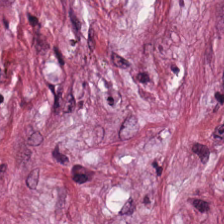Tissue — tumor stroma.
